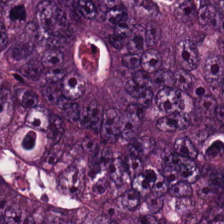224×224 px tile. H&E-stained tissue section. Histology → malignant epithelium.
